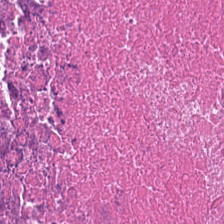224×224 pixel tile · hematoxylin and eosin.
Tissue type: necrotic debris.
